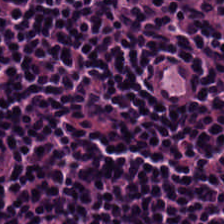H&E-stained section; the field shows lymphoid infiltrate.
